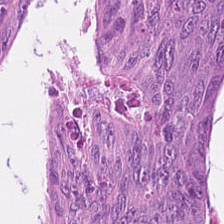H&E-stained tissue section. Whole-slide-image patch — Showing colorectal adenocarcinoma.
